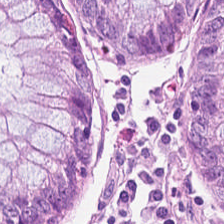H&E stain.
Q: Classify this patch.
A: Normal colon mucosa.
